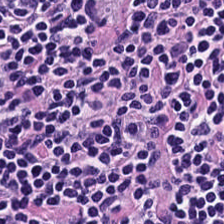Whole-slide-image patch. Hematoxylin-and-eosin stained section. 224×224 pixel tile — {"tissue_type": "lymphoid infiltrate"}
